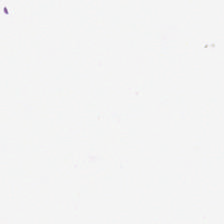Hematoxylin-and-eosin stained section — No tissue present; background only.
